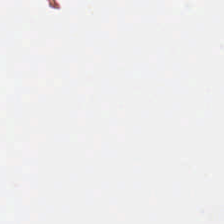Empty background.
